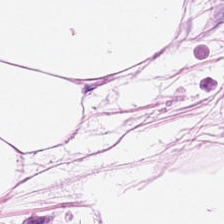Hematoxylin-and-eosin stained section — Q: What does this patch show?
A: The field shows adipocytes.
